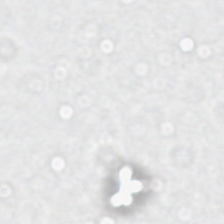Stain: hematoxylin-and-eosin stained section.
Field content: background (no tissue).
